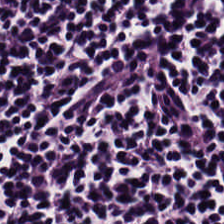H&E stain. FFPE tissue section.
Lymphoid infiltrate.
